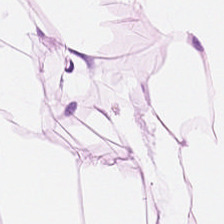Hematoxylin and eosin. Showing fat tissue.
